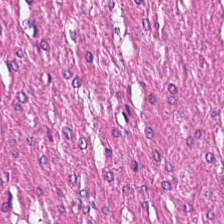The tissue class is smooth-muscle tissue.
